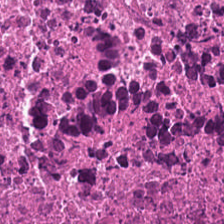H&E.
{"tissue_type": "necrotic debris"}
